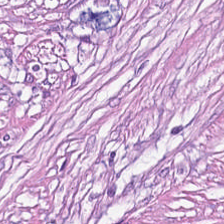Stain: H&E.
Acquisition: whole-slide-image patch.
Classification: tumor-associated stroma.
